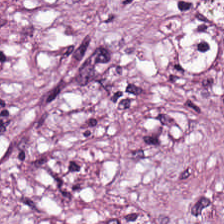224×224 pixel tile. Formalin-fixed paraffin-embedded section. H&E.
Q: What does this patch show?
A: It is tumor-associated stroma.
